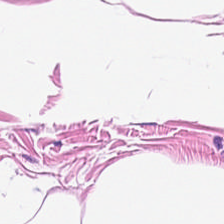H&E-stained tissue section · 224×224 px patch — The tissue type is fat tissue.
